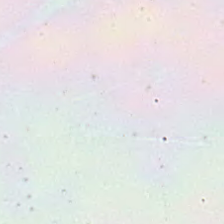H&E-stained tissue section. 0.5 µm per pixel — Q: What is shown here?
A: It is background (no tissue).
